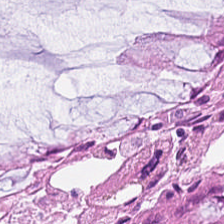Predominant tissue — benign colonic mucosa.
